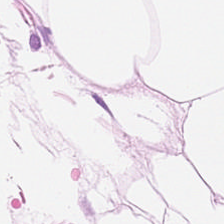FFPE tissue section. H&E stain. 0.5 µm/px. The predominant tissue is adipocytes.
